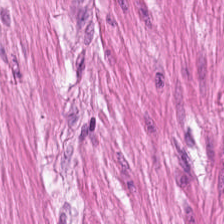224×224 pixel tile; hematoxylin and eosin; brightfield microscopy. This field is smooth-muscle tissue.
